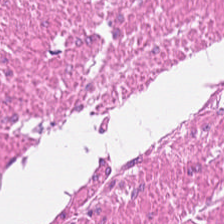Histology → muscularis.
